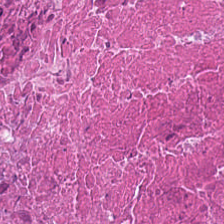H&E-stained tissue section · 0.5 µm per pixel — The classification is debris.
